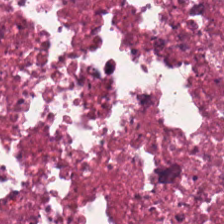0.5 µm per pixel; 224×224 pixel tile; H&E-stained tissue section — Classification = debris.
